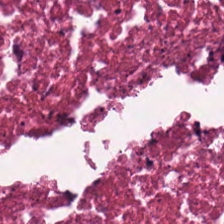Hematoxylin-and-eosin stained section. Debris.
